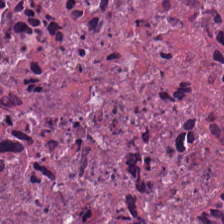H&E — {"tissue_type": "cellular debris"}
